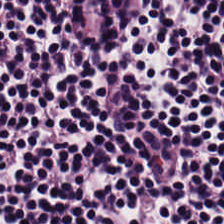Predominant tissue — lymphocytes.
